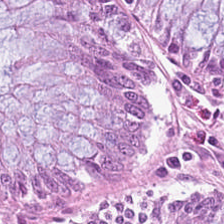Brightfield microscopy; H&E-stained tissue section — Q: What is the predominant tissue type?
A: The field shows normal colonic mucosa.
